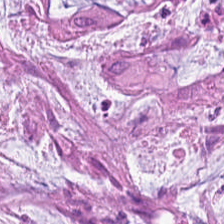Hematoxylin and eosin.
Q: What is shown here?
A: The field shows extracellular mucin.
